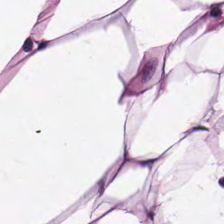224×224 px patch. H&E. Tissue type — adipose tissue.
